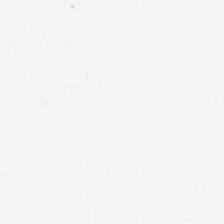224×224 px patch; hematoxylin and eosin — Q: What is shown in this field?
A: This is empty background.
